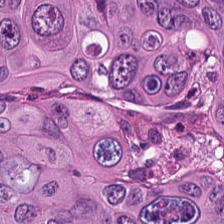Tissue type = malignant epithelium.
